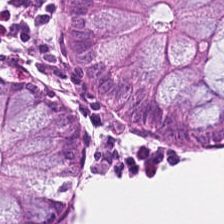Tissue — benign colonic mucosa.
